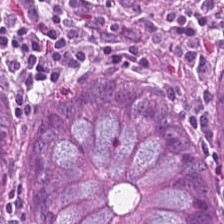H&E stain. Tissue class = benign colonic mucosa.
